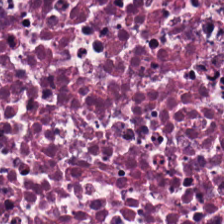FFPE tissue section. H&E stain. Classification — debris.
